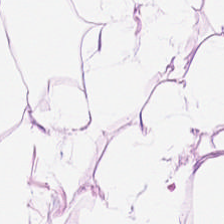Hematoxylin-and-eosin stained section — Predominantly fat tissue.
